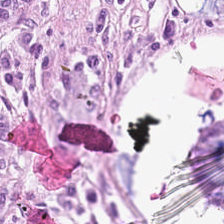Finding → benign colonic mucosa.
